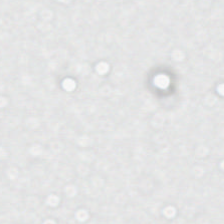Stain: hematoxylin-and-eosin stained section.
Classification: empty background.
